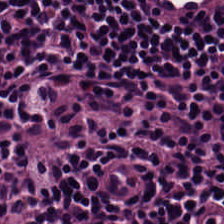H&E stain · 0.5 µm per pixel — Finding — lymphoid infiltrate.
